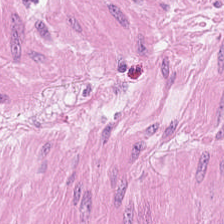Showing smooth-muscle tissue.
